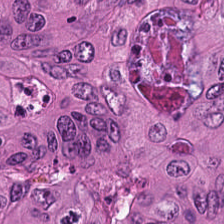H&E-stained tissue section. The tissue here is tumor epithelium.
